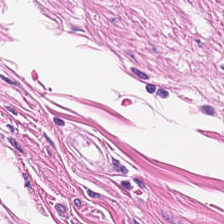Finding — muscularis.
